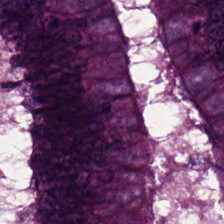224×224 px patch; hematoxylin-and-eosin stained section; WSI patch. This patch shows colorectal adenocarcinoma epithelium.
